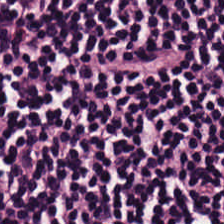H&E-stained tissue section showing lymphocytic infiltrate.
